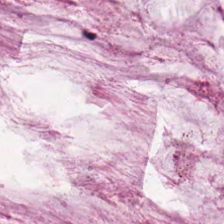Hematoxylin and eosin. Q: Classify this patch.
A: This is extracellular mucin.
